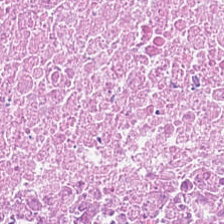Hematoxylin-and-eosin stained section — Showing necrotic debris.
